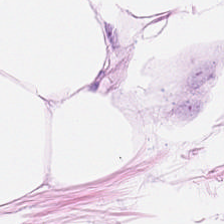Brightfield; H&E-stained tissue section.
This field is adipocytes.
